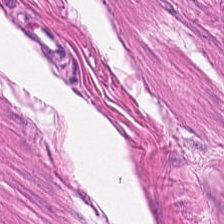H&E-stained tissue section showing smooth muscle.
